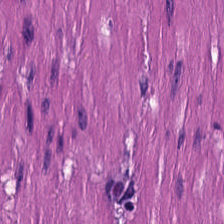H&E — smooth-muscle tissue.
